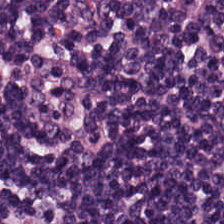{"tissue_type": "lymphocytic infiltrate"}
